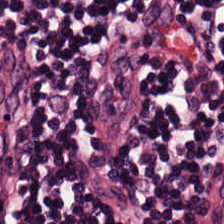H&E — The predominant tissue is lymphocyte aggregate.
